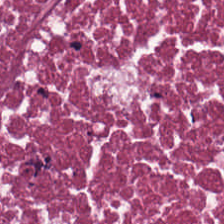0.5 µm per pixel; H&E stain.
This field is necrotic debris.
